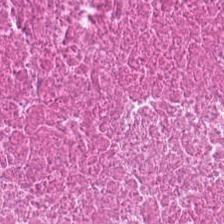0.5 µm/px · H&E stain. {"tissue_type": "necrotic debris"}
